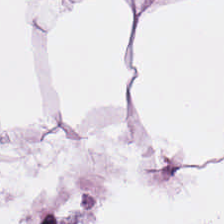Hematoxylin and eosin · 224×224 pixel tile — This patch shows fat tissue.
